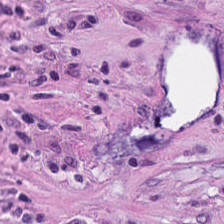WSI patch; hematoxylin and eosin.
{"tissue_type": "cancer-associated stroma"}
